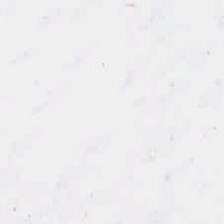Finding — empty background.
